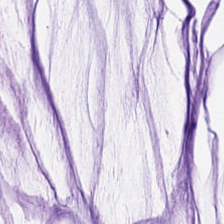The tissue is mucus.
